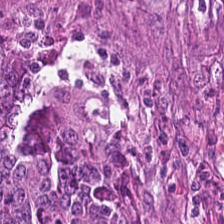This field is tumor epithelium.
